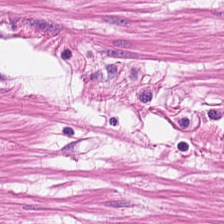{"tissue_type": "smooth muscle"}
